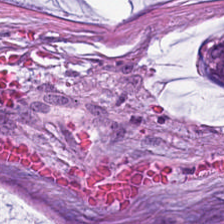H&E-stained tissue section — This field is extracellular mucin.
